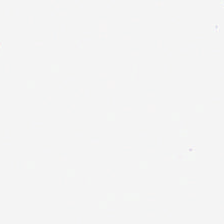This field is background (no tissue).
